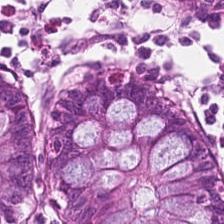The tissue here is benign colonic mucosa.
